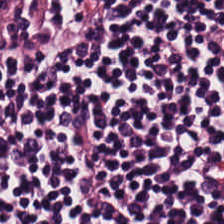Impression → lymphocytic infiltrate.
